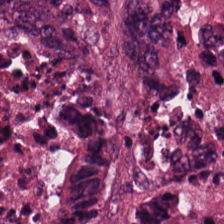H&E stain. Brightfield microscopy. Classification: adenocarcinoma.
